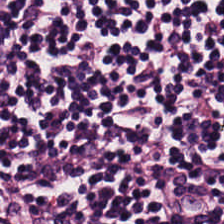20× equivalent magnification. Hematoxylin and eosin — Q: What tissue type is shown here?
A: The field shows lymphocytes.
